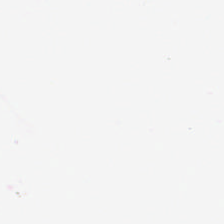Stain: H&E.
Content: background.
